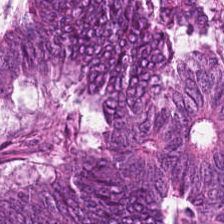Hematoxylin-and-eosin stained section. 224×224 px patch — Q: What type of tissue is this?
A: The field shows tumor epithelium.
